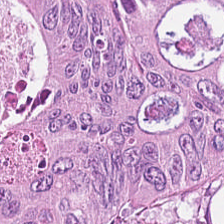H&E stain. 224×224 px patch. Predominant tissue: tumor epithelium.
